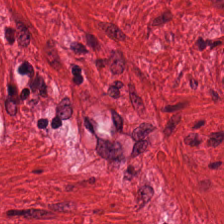H&E stain — Tissue = smooth muscle.
